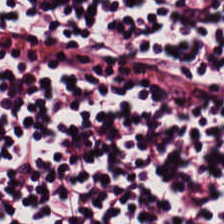0.5 µm/px; H&E stain — Classification: lymphocytes.
